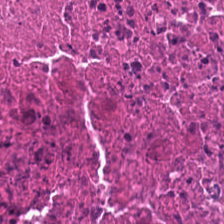Hematoxylin-and-eosin stained section.
This patch shows debris.
